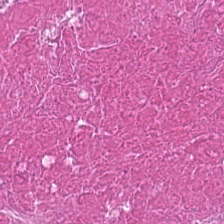Hematoxylin and eosin — Debris.
